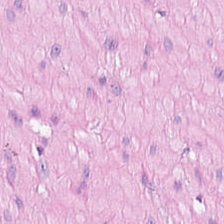H&E stain.
Tissue class — smooth-muscle tissue.
